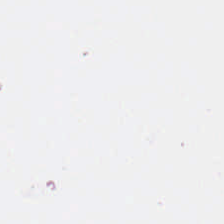Background — no tissue in this field.
